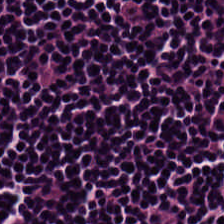0.5 microns per pixel. H&E. 224×224 px patch.
Predominantly lymphocytes.
